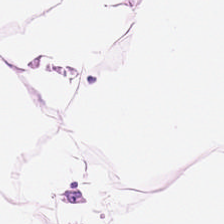Formalin-fixed paraffin-embedded section; H&E stain; 224×224 px patch. This field is fat tissue.
